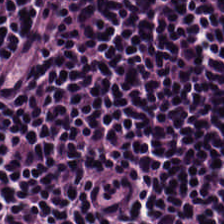H&E-stained tissue section. Predominantly lymphocyte aggregate.
